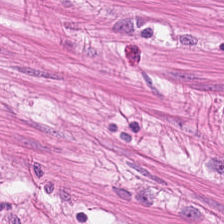H&E-stained tissue section. 224×224 px patch.
This field is smooth muscle.
